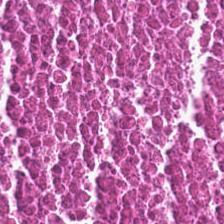Stain: hematoxylin-and-eosin stained section.
Resolution: 0.5 microns per pixel.
Acquisition: brightfield.
Predominant tissue: debris.
